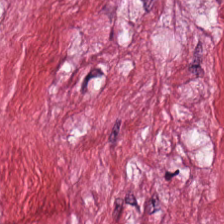Predominant tissue: cancer-associated stroma.
